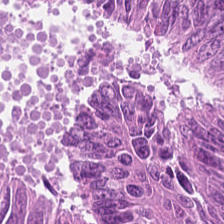FFPE · H&E-stained tissue section.
Q: What type of tissue is this?
A: Adenocarcinoma.
